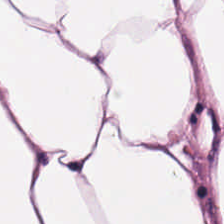H&E-stained tissue section — Showing adipose tissue.
